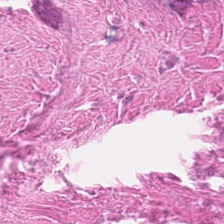Hematoxylin and eosin — This field is debris.
